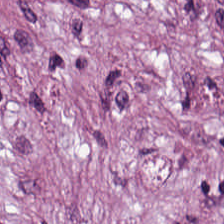H&E. Q: What tissue is shown?
A: It is tumor-associated stroma.
